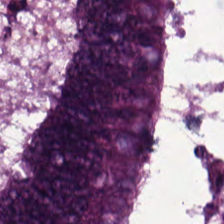H&E · 224×224 px tile — {"tissue_type": "malignant epithelium"}
